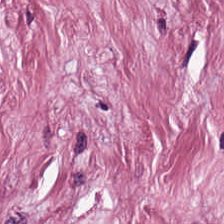H&E — Tissue type — tumor-associated stroma.
